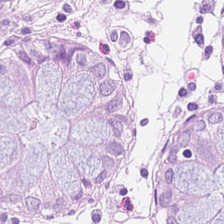H&E stain; formalin-fixed paraffin-embedded section; 0.5 microns per pixel.
Histology → normal colonic mucosa.
